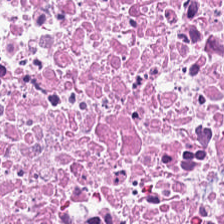H&E.
{"tissue_type": "debris"}
